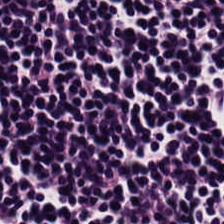H&E. The classification is lymphoid infiltrate.
